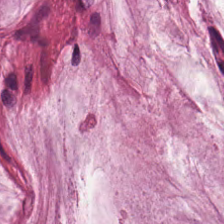Hematoxylin-and-eosin section: mucus.
